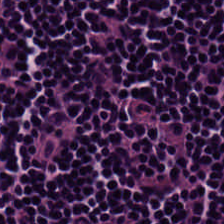0.5 µm per pixel. H&E stain.
Predominant tissue = lymphoid infiltrate.
